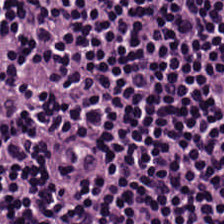Brightfield microscopy · hematoxylin-and-eosin stained section — Histology — lymphoid infiltrate.
